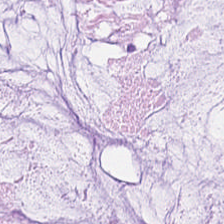Hematoxylin-and-eosin stained section. {"tissue_type": "mucin"}
